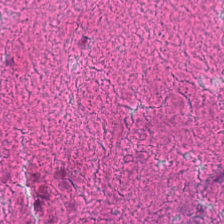Stain: hematoxylin and eosin.
Acquisition: WSI patch.
Tile size: 224×224 px patch.
Tissue: debris.
